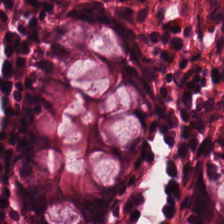Tissue = non-neoplastic colon mucosa.
